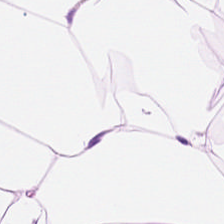Brightfield. 224×224 px patch. H&E-stained tissue section. Tissue type: adipocytes.
